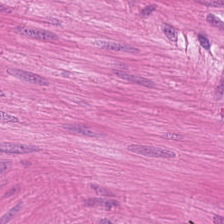H&E.
Predominantly smooth muscle.
